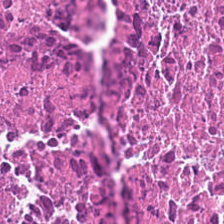H&E-stained tissue section; FFPE tissue section; 224×224 pixel tile — Q: What type of tissue is this?
A: It is necrotic debris.
